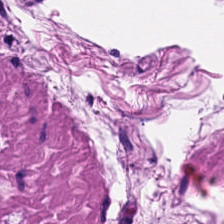Q: What is shown here?
A: Smooth muscle.
